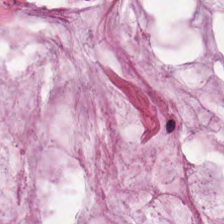Hematoxylin-and-eosin section: mucin.
